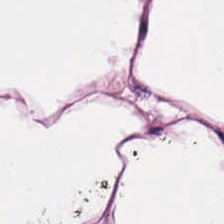H&E stain. 224×224 pixel tile. FFPE tissue section. Finding — adipose tissue.
